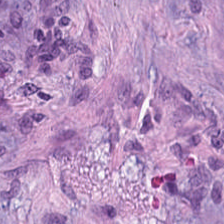H&E-stained tissue section; 0.5 microns per pixel. Tumor-associated stroma.
